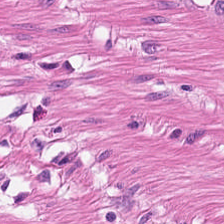0.5 µm/px. H&E stain.
Tissue: smooth-muscle tissue.
